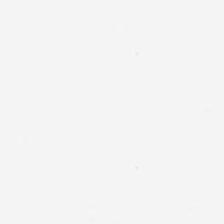Hematoxylin and eosin · 224×224 pixel tile.
Q: What is shown in this field?
A: Empty background.
